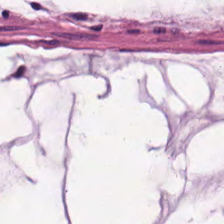H&E-stained tissue section · 0.5 microns per pixel. Q: What is shown in this field?
A: It is mucus.
